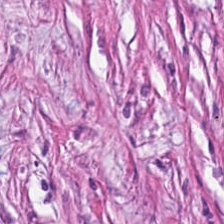H&E-stained tissue section. 224×224 px patch — This field is tumor stroma.
